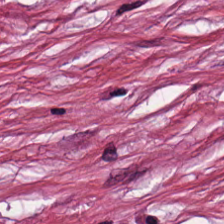Hematoxylin and eosin. 224×224 px patch — Q: What tissue type is shown here?
A: The field shows cancer-associated stroma.
